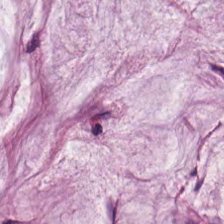Stain: H&E stain.
Tile size: 224×224 px patch.
Tissue type: mucin.
